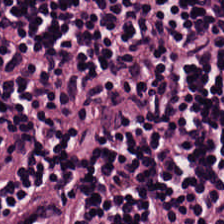Stain: hematoxylin-and-eosin stained section.
Tile size: 224×224 px patch.
Resolution: 0.5 microns per pixel.
Tissue type: lymphocytic infiltrate.
